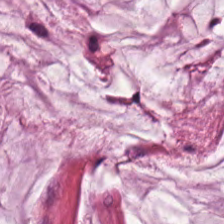Hematoxylin-and-eosin stained section · WSI patch.
The tissue here is mucus.
